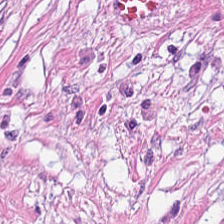Hematoxylin-and-eosin stained section. Tissue class — cancer-associated stroma.
